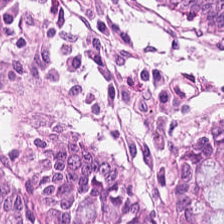224×224 px tile. H&E stain. 0.5 µm/px — Showing benign colonic mucosa.
